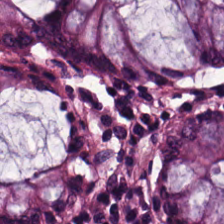Hematoxylin and eosin; brightfield. Predominantly normal colon mucosa.
